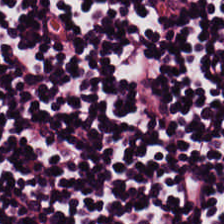Hematoxylin and eosin. Tissue type — lymphocytic infiltrate.
